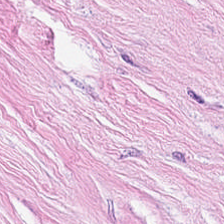H&E stain. Tissue class: tumor stroma.
